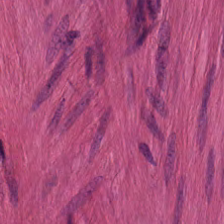H&E stain. Brightfield. 224×224 px tile — Muscularis.
